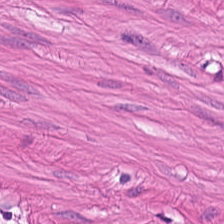H&E stain. Whole-slide-image patch. Formalin-fixed paraffin-embedded section. Predominantly smooth muscle.
